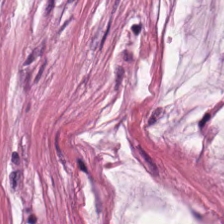Hematoxylin-and-eosin stained section — Predominant tissue — mucus.
